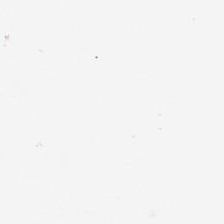Classification: background.
